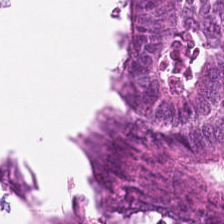H&E-stained tissue section — The tissue here is colorectal adenocarcinoma.
